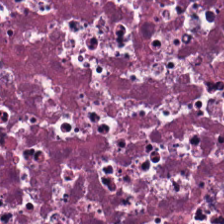{"tissue_type": "cellular debris"}
